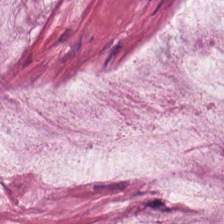H&E-stained tissue section. FFPE tissue section. Whole-slide-image patch — This field is extracellular mucin.
